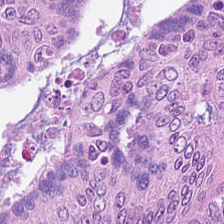H&E stain. Q: Identify the tissue.
A: This is malignant epithelium.
